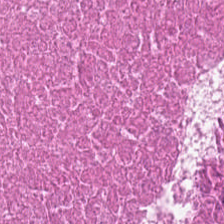H&E.
Tissue — necrotic debris.
